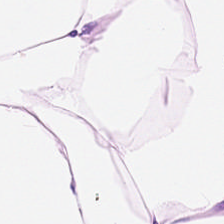H&E stain · 20× equivalent magnification · FFPE tissue section.
Classification = adipocytes.
